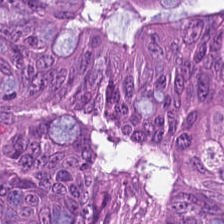0.5 microns per pixel; hematoxylin and eosin.
Adenocarcinoma.
